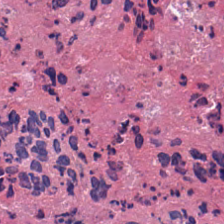Stain: H&E.
Classification: debris.
